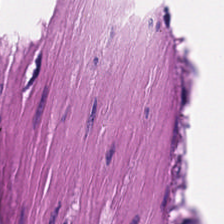0.5 microns per pixel; hematoxylin-and-eosin stained section — Q: Classify this patch.
A: Smooth-muscle tissue.
